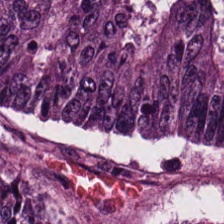Showing tumor epithelium.
